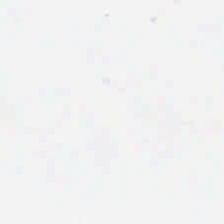H&E stain. 224×224 px patch. Q: What is shown in this field?
A: The field shows empty background.
